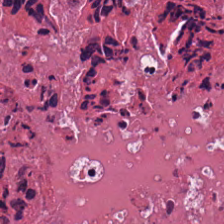Hematoxylin-and-eosin stained section — Predominantly debris.
